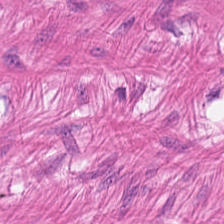H&E-stained tissue section — Smooth-muscle tissue.
